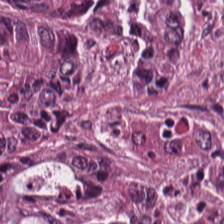H&E — Predominant tissue — tumor epithelium.
